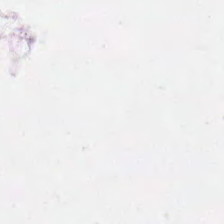H&E stain.
Q: Classify this patch.
A: It is no tissue.
